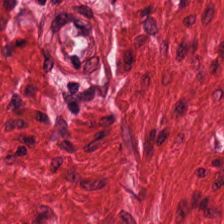H&E-stained tissue section — {"tissue_type": "smooth muscle"}
